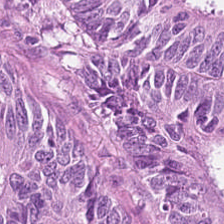Hematoxylin-and-eosin stained section.
The tissue here is adenocarcinoma.
